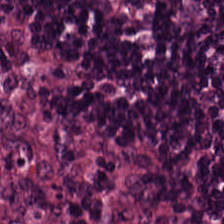Stain: hematoxylin-and-eosin stained section.
Tissue class: lymphocytes.
